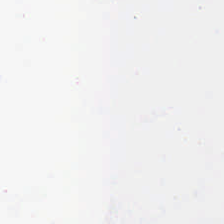Finding — empty background.
